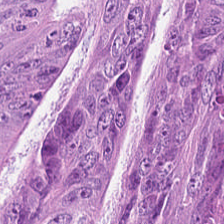Tissue — colorectal adenocarcinoma.
